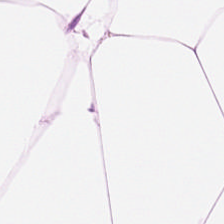Stain: H&E stain.
Tissue type: fat tissue.
